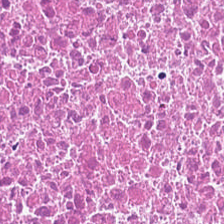Tissue: necrotic debris.
